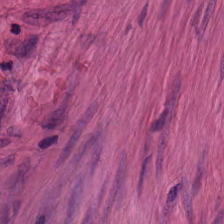H&E — Classification: smooth muscle.
